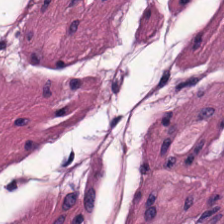Tissue class — smooth muscle.
